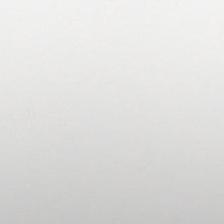H&E-stained tissue section; 224×224 pixel tile; formalin-fixed paraffin-embedded section. Empty background.
